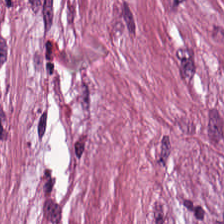Classification — tumor-associated stroma.
